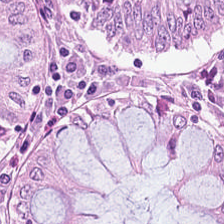224×224 px tile. 20× equivalent magnification. H&E stain. Histology — benign colonic mucosa.
